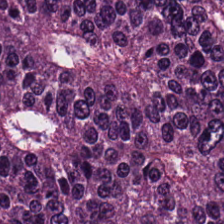Hematoxylin and eosin; whole-slide-image patch; 224×224 px tile.
Q: What is shown in this field?
A: Colorectal adenocarcinoma epithelium.
